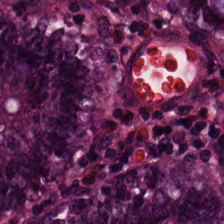H&E-stained tissue section; 224×224 px tile; 0.5 µm per pixel — Q: What does this patch show?
A: This is non-neoplastic colon mucosa.
